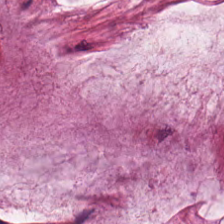Hematoxylin-and-eosin stained section — Classification — extracellular mucin.
